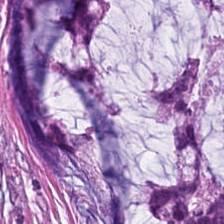Stain: H&E-stained tissue section.
Preparation: formalin-fixed paraffin-embedded section.
Tissue: extracellular mucin.
